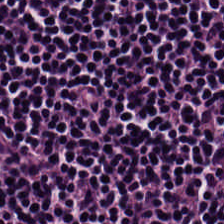The tissue class is lymphocytic infiltrate.
